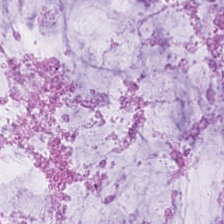Stain: hematoxylin and eosin.
Predominant tissue: mucus.
